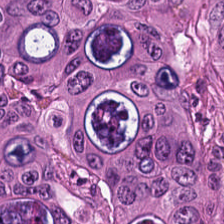Hematoxylin-and-eosin stained section. Brightfield microscopy.
Showing malignant epithelium.
